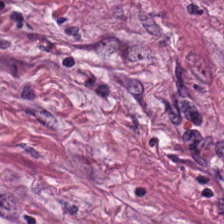224×224 px tile; hematoxylin-and-eosin stained section — The tissue class is tumor-associated stroma.
